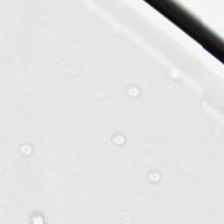FFPE · hematoxylin-and-eosin stained section.
Content = background.
